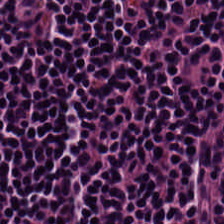Stain: H&E-stained tissue section.
Preparation: formalin-fixed paraffin-embedded section.
Tile size: 224×224 pixel tile.
Predominant tissue: lymphocytes.
